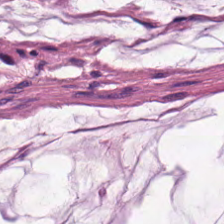H&E.
Q: What does this patch show?
A: Mucin.
